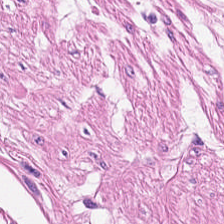Hematoxylin-and-eosin stained section. Smooth muscle.
